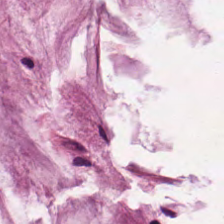Predominant tissue: extracellular mucin.
